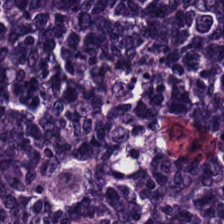224×224 pixel tile; H&E stain — Impression — lymphoid infiltrate.
